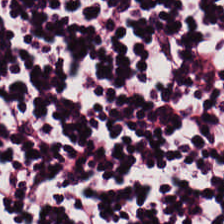Classification = lymphocyte aggregate.
